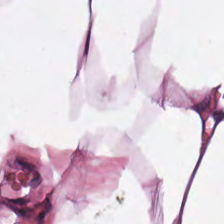Stain: H&E stain.
Tissue class: adipose.
